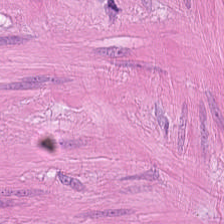This field is smooth muscle.
